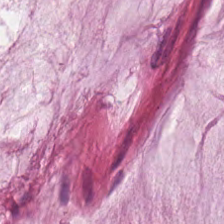0.5 µm/px. Hematoxylin and eosin.
The tissue here is mucus.
